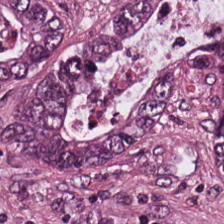H&E stain. Predominantly malignant epithelium.
